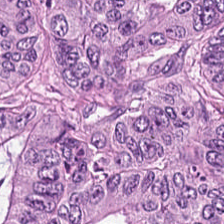H&E stain — Classification — adenocarcinoma.
